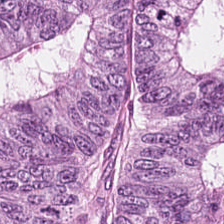H&E. FFPE — The predominant tissue is adenocarcinoma.
